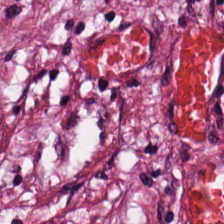Stain: H&E.
Tissue type: cancer-associated stroma.
